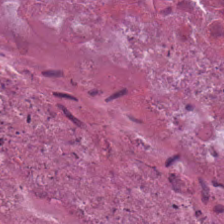Hematoxylin-and-eosin stained section. Formalin-fixed paraffin-embedded section. Q: What is the predominant tissue type?
A: This is necrotic debris.
